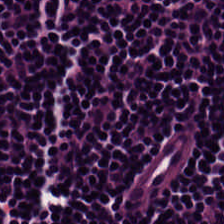H&E; 20× equivalent magnification. {"tissue_type": "lymphocytes"}
